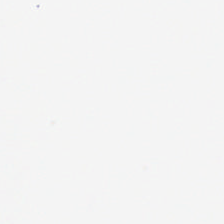Brightfield · 224×224 pixel tile · hematoxylin and eosin.
Background (no tissue).
